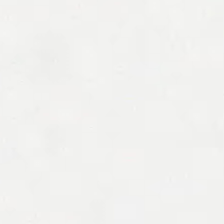224×224 px tile; hematoxylin-and-eosin stained section — Empty field — empty background.
